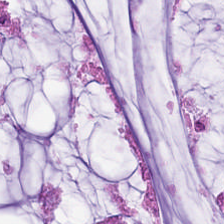Stain: H&E stain.
Tissue type: mucus.
